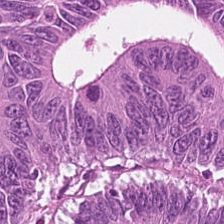Hematoxylin and eosin — This field is colorectal adenocarcinoma.
